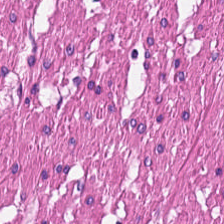Tissue type: smooth-muscle tissue.
